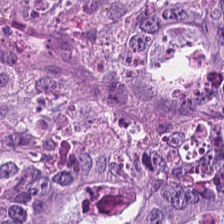H&E-stained tissue section — This field is adenocarcinoma.
